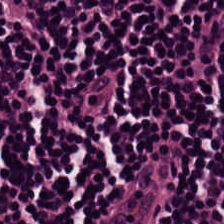Whole-slide-image patch. H&E. Tissue class: lymphoid infiltrate.
